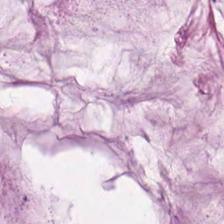H&E.
Predominantly mucus.
